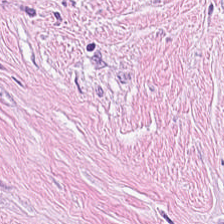224×224 px tile; H&E stain; whole-slide-image patch.
Predominantly desmoplastic stroma.
